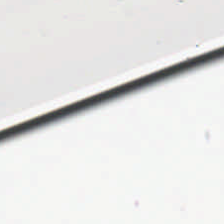Whole-slide-image patch. FFPE tissue section. Hematoxylin-and-eosin stained section. This field is background (no tissue).
